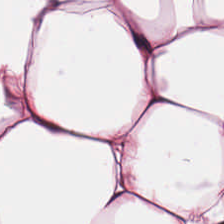H&E stain. Formalin-fixed paraffin-embedded section.
Q: What is shown in this field?
A: It is adipose tissue.
